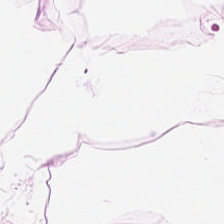0.5 microns per pixel; H&E stain. Classification — adipose.
